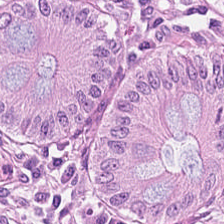This field is normal colonic mucosa.
